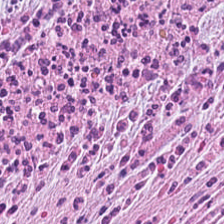H&E-stained section; the field shows cancer-associated stroma.
